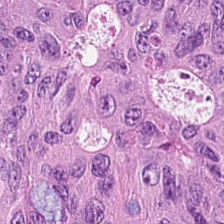H&E stain. Tissue — malignant epithelium.
